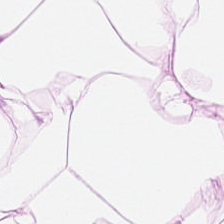Stain: hematoxylin and eosin.
Tissue type: adipocytes.
